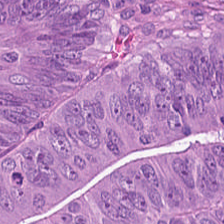Hematoxylin-and-eosin stained section — Q: What type of tissue is this?
A: This is adenocarcinoma.
